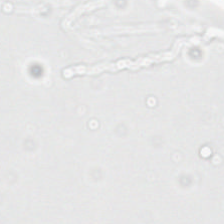FFPE; H&E. Impression — background.
